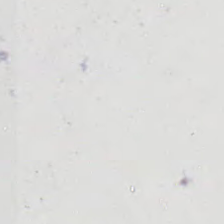Stain: hematoxylin-and-eosin stained section.
Field content: empty background.
